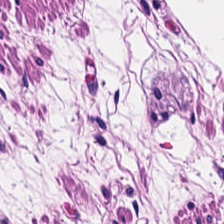H&E. 20× equivalent magnification. Predominant tissue — muscularis.
